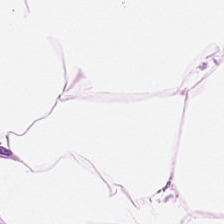H&E.
Q: What type of tissue is this?
A: This is fat tissue.
